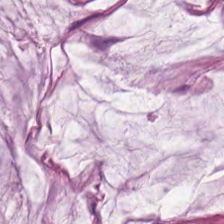Stain: H&E-stained tissue section.
Predominant tissue: extracellular mucin.
